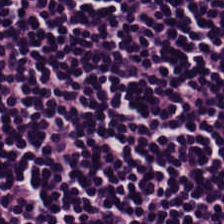Hematoxylin and eosin. {"tissue_type": "lymphoid infiltrate"}
